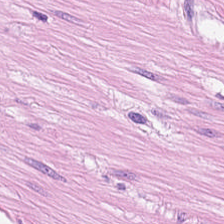H&E-stained tissue section. Q: Identify the tissue.
A: This is muscularis.
